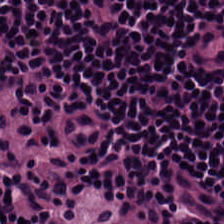H&E stain.
Q: Identify the tissue.
A: This is lymphocyte aggregate.
